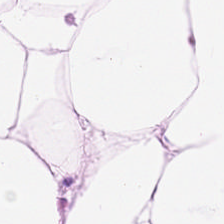H&E stain; WSI patch. Predominantly adipose tissue.
